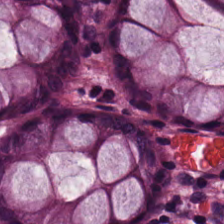Hematoxylin-and-eosin section: benign colonic mucosa.
